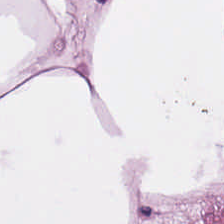Hematoxylin-and-eosin stained section. This field is fat tissue.
